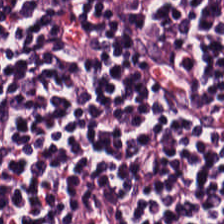224×224 px patch; H&E stain; FFPE tissue section — The tissue here is lymphocytic infiltrate.
